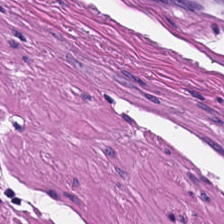H&E stain. Predominantly smooth-muscle tissue.
